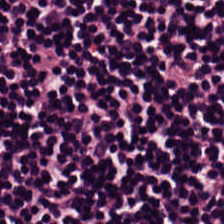WSI patch · H&E stain.
Classification — lymphocyte aggregate.
